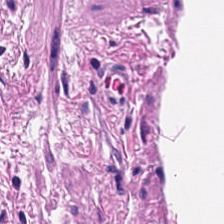Hematoxylin and eosin.
Smooth muscle.
